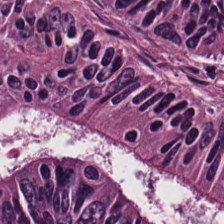The classification is colorectal adenocarcinoma.
